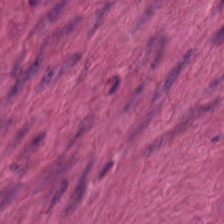Formalin-fixed paraffin-embedded section; 0.5 microns per pixel; H&E stain — The tissue type is smooth-muscle tissue.
